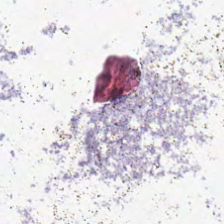Hematoxylin-and-eosin stained section; 224×224 pixel tile. Empty field — empty background.
